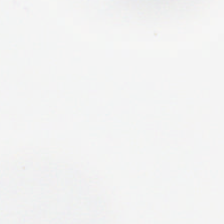Whole-slide-image patch. H&E — Q: What is shown in this field?
A: Background (no tissue).
